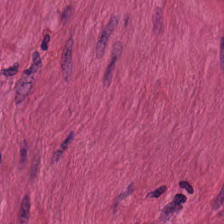Stain: hematoxylin and eosin.
Resolution: 20× equivalent magnification.
Tissue: smooth-muscle tissue.
